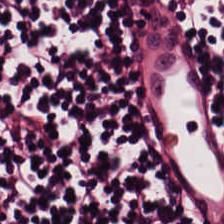Hematoxylin and eosin — The tissue here is lymphocytic infiltrate.
